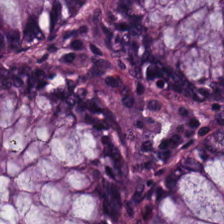Tissue class: benign colonic mucosa.
